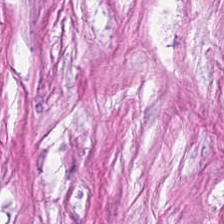H&E-stained tissue section. The predominant tissue is desmoplastic stroma.
